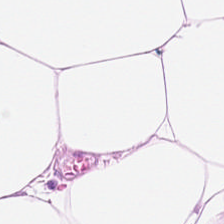H&E stain.
Showing adipose tissue.
